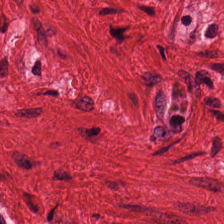Stain: H&E-stained tissue section.
Classification: smooth muscle.
